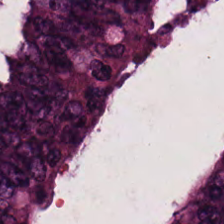Hematoxylin and eosin. Whole-slide-image patch.
Tumor epithelium.
